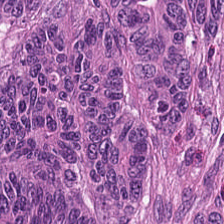Hematoxylin-and-eosin stained section — Predominantly colorectal adenocarcinoma.
